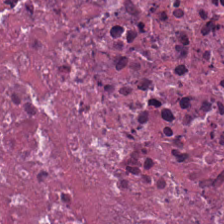Hematoxylin and eosin.
Q: What does this patch show?
A: It is debris.
